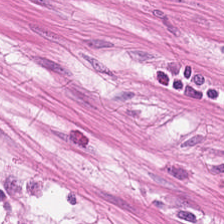20× equivalent magnification · brightfield microscopy · H&E stain — Finding — smooth-muscle tissue.
